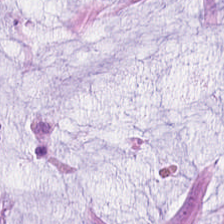Hematoxylin-and-eosin stained section. Tissue class — extracellular mucin.
